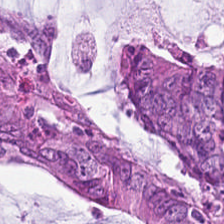H&E-stained tissue section. Showing tumor epithelium.
